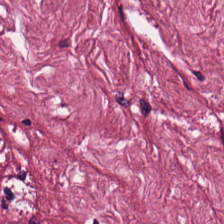Hematoxylin and eosin — The predominant tissue is tumor stroma.
